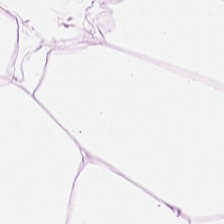Hematoxylin and eosin — Tissue type = adipose.
